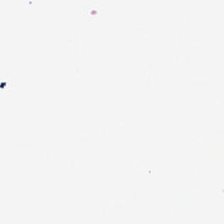0.5 µm per pixel. H&E stain. FFPE tissue section.
This field is background (no tissue).
